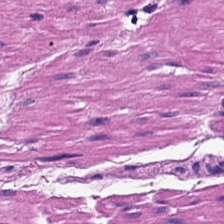Tissue type: muscularis.
